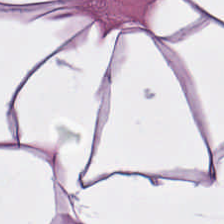Adipose tissue.
